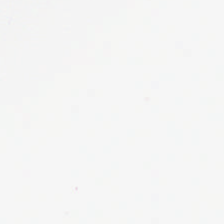Hematoxylin and eosin — This patch shows background (no tissue).
